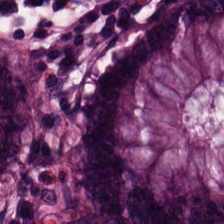This patch shows normal colonic mucosa.
